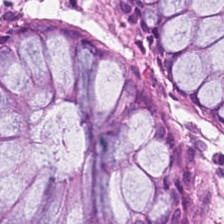Tissue type — non-neoplastic colon mucosa.
